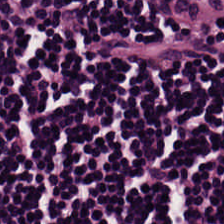H&E-stained tissue section. 0.5 µm/px.
Finding → lymphoid infiltrate.
